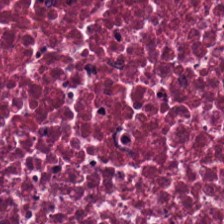Stain: hematoxylin-and-eosin stained section.
Tile size: 224×224 pixel tile.
Classification: cellular debris.
